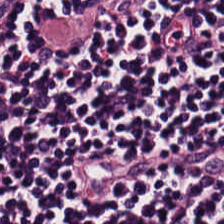H&E patch showing lymphoid infiltrate.
